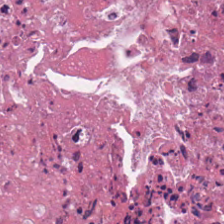The tissue here is cellular debris.
